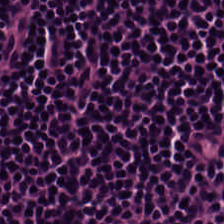Q: Identify the tissue.
A: This is lymphocytes.
